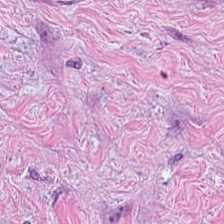20× equivalent magnification; hematoxylin-and-eosin stained section.
The tissue here is desmoplastic stroma.
